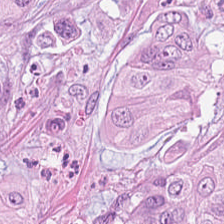0.5 µm/px; H&E-stained tissue section. This patch shows malignant epithelium.
